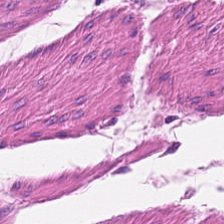Brightfield microscopy · hematoxylin-and-eosin stained section. Tissue class = smooth-muscle tissue.
